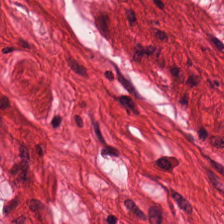Hematoxylin and eosin. 224×224 pixel tile. Whole-slide-image patch. Tissue type — smooth muscle.
